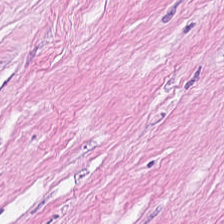Predominant tissue = desmoplastic stroma.
